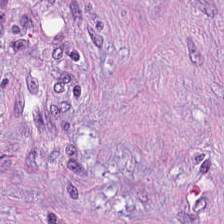H&E-stained tissue section. The predominant tissue is tumor-associated stroma.
